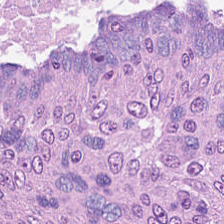Showing colorectal adenocarcinoma.
